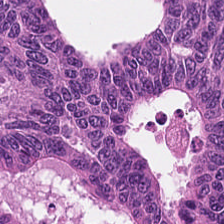Tissue type: adenocarcinoma.
